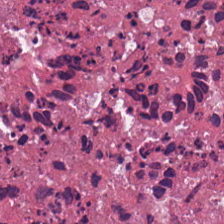The tissue here is debris.
